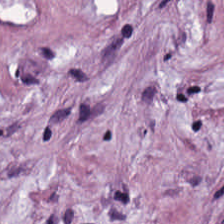0.5 µm/px · H&E-stained tissue section · WSI patch.
This patch shows tumor stroma.
